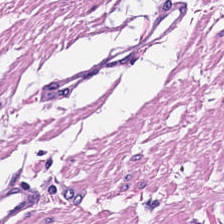H&E stain. 0.5 µm/px.
Tissue type: muscularis.
